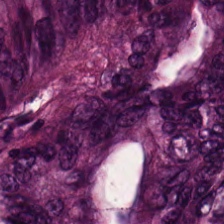H&E. The tissue here is colorectal adenocarcinoma epithelium.
